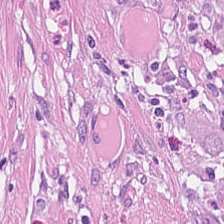H&E-stained tissue section. 20× equivalent magnification. 224×224 px patch. This field is tumor-associated stroma.
